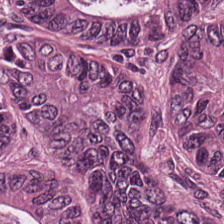H&E — Q: Identify the tissue.
A: This is adenocarcinoma.
